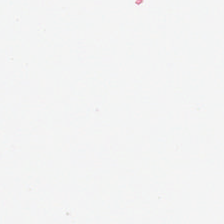Hematoxylin and eosin — Q: Classify this patch.
A: Background (no tissue).
